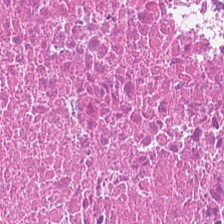Hematoxylin and eosin · 0.5 µm per pixel. Predominant tissue = cellular debris.
